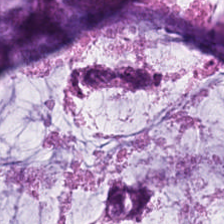H&E-stained tissue section.
The tissue here is mucus.
